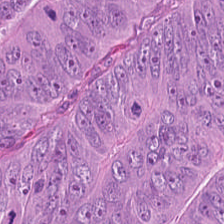Hematoxylin and eosin · 0.5 µm/px · 224×224 pixel tile.
This field is tumor epithelium.
